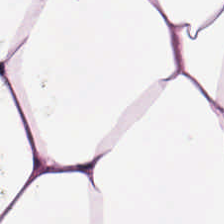H&E.
Histology → fat tissue.
